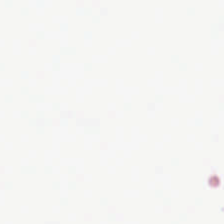Field content — background (no tissue).
